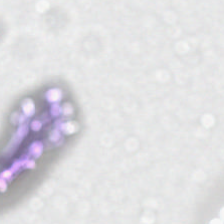H&E stain · 224×224 px patch — Empty background.
